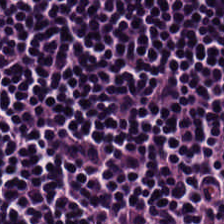Tissue class: lymphocytes.
